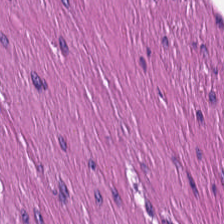Brightfield · H&E-stained tissue section.
Predominantly muscularis.
